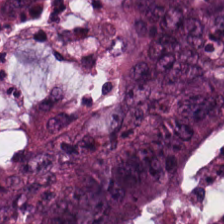20× equivalent magnification. H&E-stained tissue section — Tumor epithelium.
